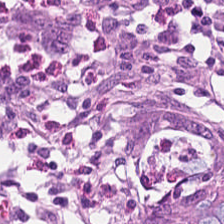Stain: hematoxylin-and-eosin stained section.
Tissue class: normal colon mucosa.
